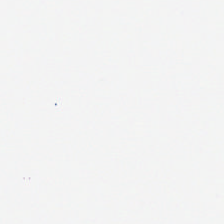H&E. Q: What is shown here?
A: This is background.
